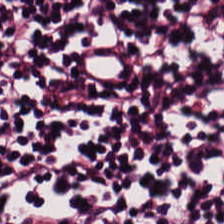H&E-stained tissue section — Tissue = lymphocyte aggregate.
